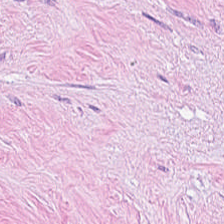Formalin-fixed paraffin-embedded section. H&E-stained tissue section. {"tissue_type": "desmoplastic stroma"}
